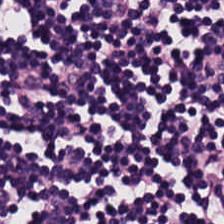Hematoxylin-and-eosin stained section. 20× equivalent magnification. Brightfield — This field is lymphoid infiltrate.
